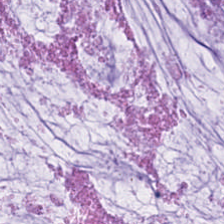The tissue here is extracellular mucin.
